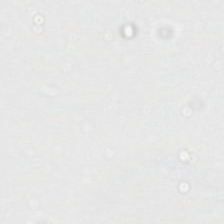Classification = empty background.
